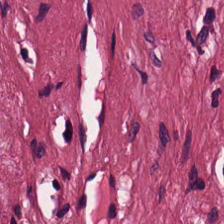Impression → desmoplastic stroma.
